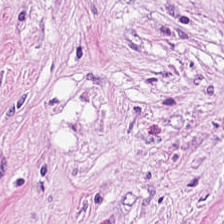Brightfield microscopy. Hematoxylin and eosin. Showing tumor-associated stroma.
